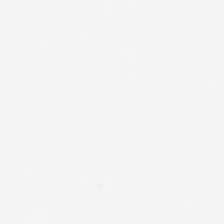Q: What does this patch show?
A: This is background (no tissue).
